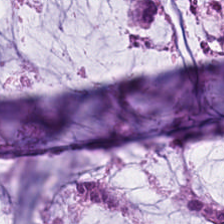Hematoxylin-and-eosin stained section — Q: What is shown in this field?
A: It is extracellular mucin.
